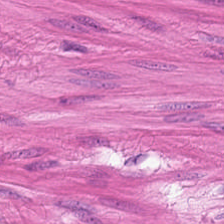224×224 px tile. 0.5 microns per pixel. H&E-stained tissue section.
The predominant tissue is smooth-muscle tissue.
